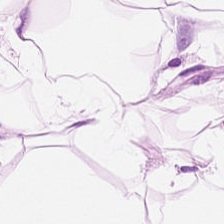Hematoxylin and eosin.
Q: What tissue type is shown here?
A: Fat tissue.
